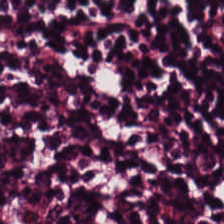Stain: H&E stain.
Tissue: lymphocyte aggregate.
